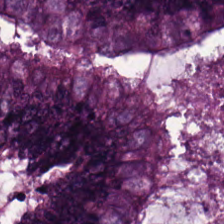H&E stain — Predominant tissue = colorectal adenocarcinoma epithelium.
